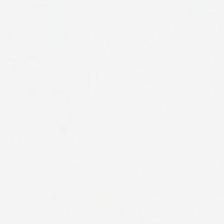H&E · 224×224 px tile · FFPE.
Field content = no tissue.
